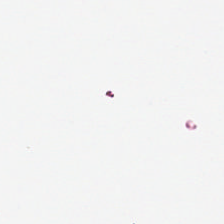Background — no tissue in this field.
